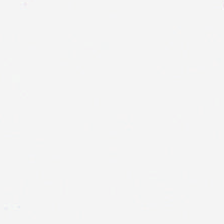Q: What does this patch show?
A: The field shows background (no tissue).
